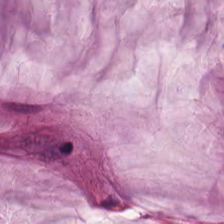Hematoxylin-and-eosin section: mucus.
